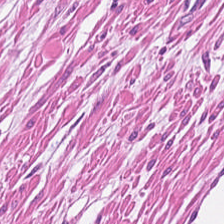Predominant tissue — smooth muscle.
